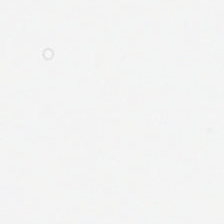H&E. Classification = no tissue.
